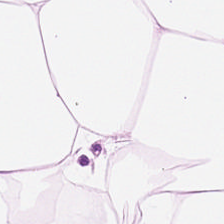H&E — Finding — adipose tissue.
